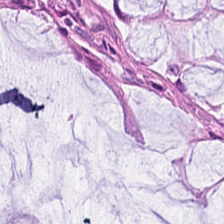Predominant tissue = non-neoplastic colon mucosa.
